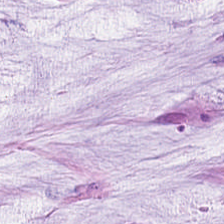WSI patch; hematoxylin and eosin.
This field is mucin.
